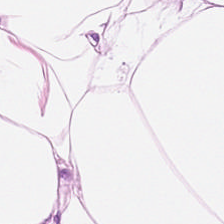WSI patch. H&E stain. 0.5 microns per pixel. Q: What does this patch show?
A: Adipocytes.
